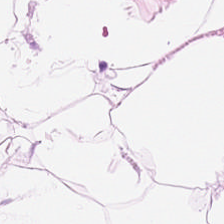Hematoxylin and eosin.
Tissue type — adipose tissue.
